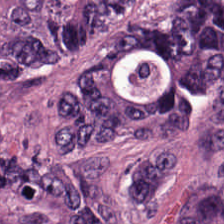The predominant tissue is colorectal adenocarcinoma epithelium.
